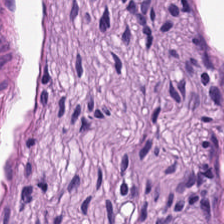Hematoxylin-and-eosin stained section — Predominantly muscularis.
